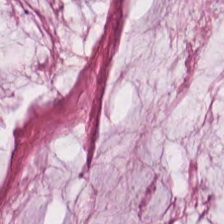Hematoxylin and eosin. Brightfield. FFPE. Q: What is the predominant tissue type?
A: This is extracellular mucin.
